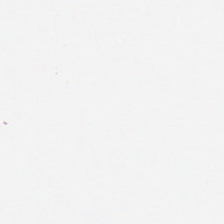H&E. This patch shows no tissue.
